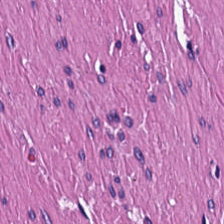Tissue class — smooth muscle.
